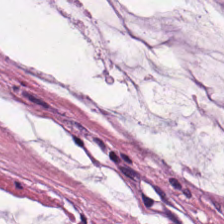Hematoxylin and eosin. Histology → mucin.
